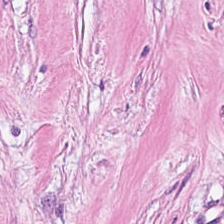Hematoxylin-and-eosin stained section.
The tissue type is cancer-associated stroma.
